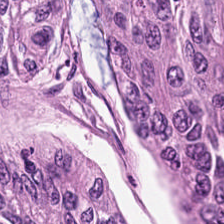Hematoxylin-and-eosin stained section. Predominant tissue: colorectal adenocarcinoma.
